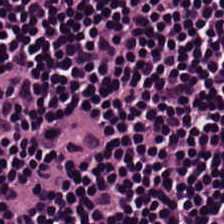H&E-stained tissue section showing lymphoid infiltrate.
